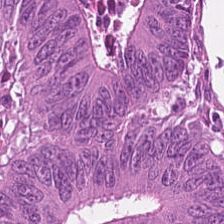H&E; FFPE tissue section — Impression — tumor epithelium.
